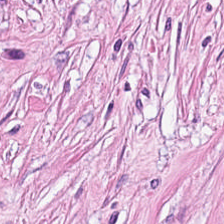H&E stain — Finding → tumor-associated stroma.
